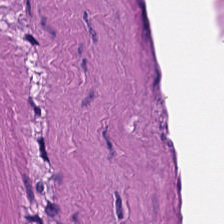Hematoxylin-and-eosin stained section — Tissue — smooth muscle.
